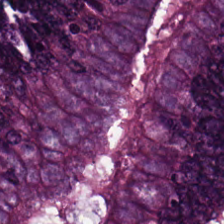H&E-stained tissue section. Showing adenocarcinoma.
